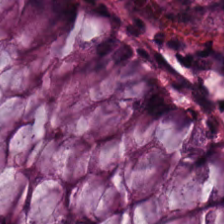Stain: hematoxylin and eosin.
Tissue: benign colonic mucosa.
